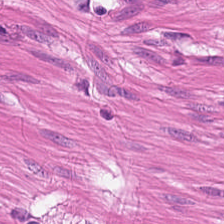FFPE tissue section. 224×224 px tile. H&E-stained tissue section — Classification — smooth muscle.
